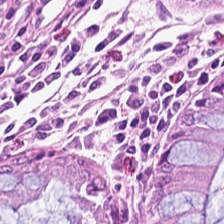0.5 microns per pixel · H&E stain · brightfield microscopy. Predominantly normal colon mucosa.
